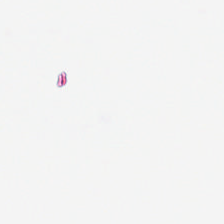H&E-stained tissue section — Content — empty background.
